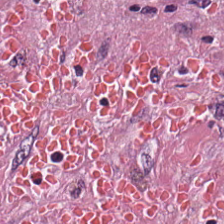H&E-stained tissue section — Q: Classify this patch.
A: It is tumor-associated stroma.
